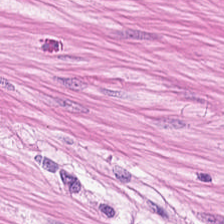Tissue: muscularis.
